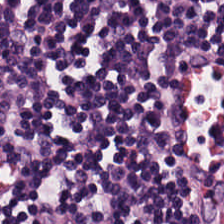0.5 µm per pixel. Hematoxylin and eosin.
The predominant tissue is lymphocyte aggregate.
